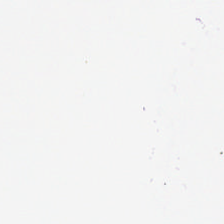FFPE tissue section. Hematoxylin-and-eosin stained section. 0.5 microns per pixel — This field is background (no tissue).
